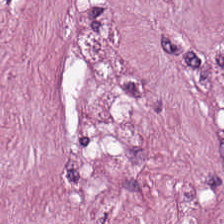Impression → tumor-associated stroma.
